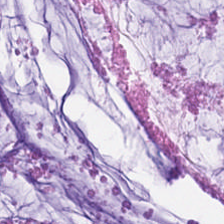H&E stain. Brightfield microscopy — This field is mucus.
